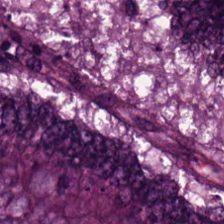Tissue class: malignant epithelium.
